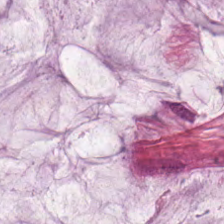H&E.
Q: What is shown in this field?
A: It is extracellular mucin.
